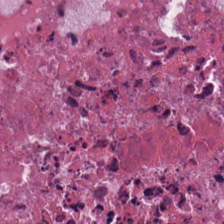H&E stain.
Predominantly cellular debris.
